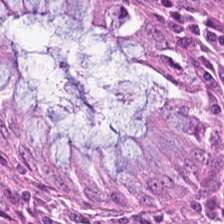H&E-stained tissue section.
Q: What is shown here?
A: The field shows normal colon mucosa.
